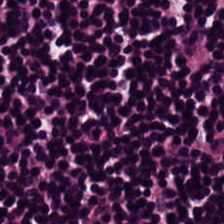H&E; 224×224 pixel tile; 0.5 microns per pixel. Tissue — lymphocytes.
